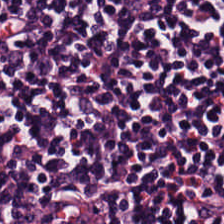224×224 pixel tile; whole-slide-image patch; H&E-stained tissue section.
Tissue type: lymphoid infiltrate.
